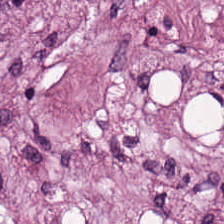The tissue type is tumor stroma.
